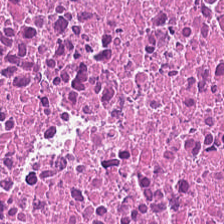224×224 px patch. Hematoxylin and eosin. FFPE tissue section. Tissue type — necrotic debris.
